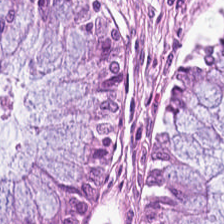H&E stain. 0.5 microns per pixel.
Q: What does this patch show?
A: It is normal colon mucosa.
